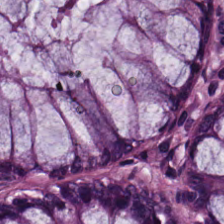224×224 pixel tile · H&E-stained tissue section.
Tissue type — non-neoplastic colon mucosa.
